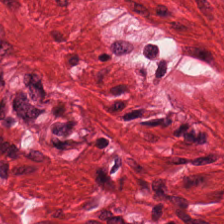Hematoxylin and eosin; formalin-fixed paraffin-embedded section — Q: What does this patch show?
A: Smooth muscle.
